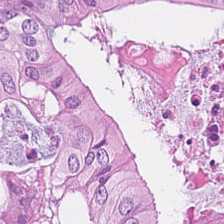H&E stain · 0.5 microns per pixel. Q: What is shown in this field?
A: Colorectal adenocarcinoma epithelium.
